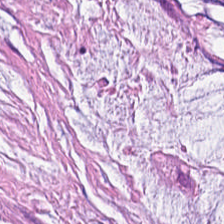H&E stain. Mucin.
